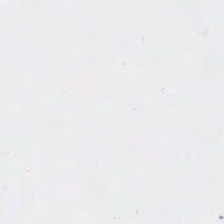Brightfield microscopy; hematoxylin and eosin.
Background.
